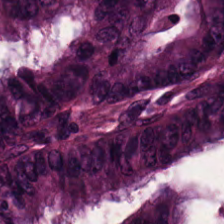H&E — The tissue here is malignant epithelium.
